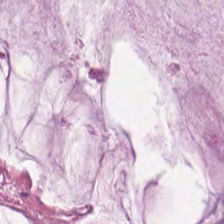Hematoxylin and eosin. Whole-slide-image patch.
Q: What tissue type is shown here?
A: This is mucus.
